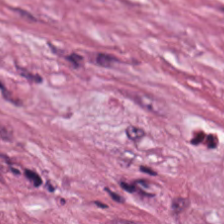Q: What does this patch show?
A: Tumor-associated stroma.
